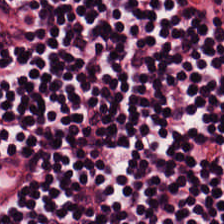0.5 µm per pixel; hematoxylin and eosin — Predominantly lymphocyte aggregate.
